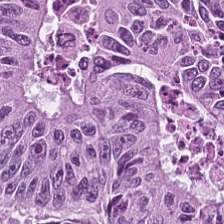Finding — colorectal adenocarcinoma epithelium.
